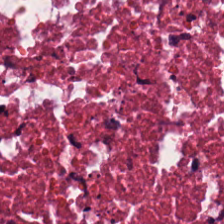H&E. 224×224 pixel tile — This patch shows cellular debris.
